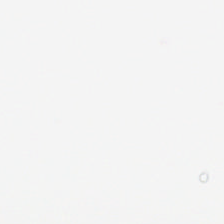Hematoxylin-and-eosin stained section — Q: What is shown here?
A: The field shows background (no tissue).
